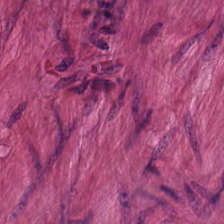Stain: H&E stain.
Tissue type: smooth-muscle tissue.
